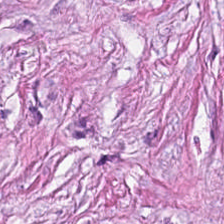Hematoxylin and eosin · 20× equivalent magnification — The predominant tissue is tumor-associated stroma.
